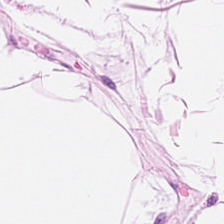FFPE tissue section. H&E-stained tissue section.
Showing fat tissue.
